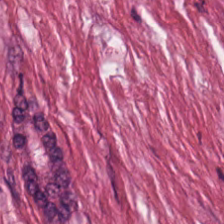Hematoxylin and eosin.
Q: Identify the tissue.
A: This is tumor stroma.
